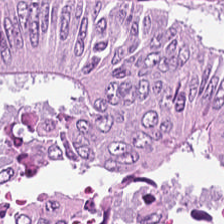Q: Classify this patch.
A: Malignant epithelium.
